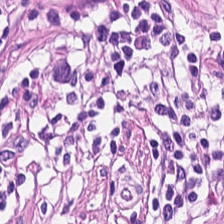224×224 px tile; H&E. This patch shows lymphocytes.
